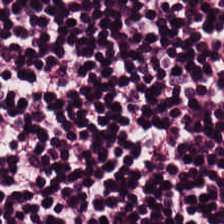H&E-stained tissue section · 0.5 µm/px. Q: What tissue type is shown here?
A: This is lymphocytes.
